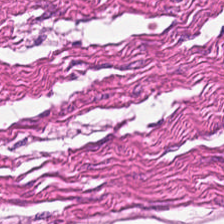Muscularis.
